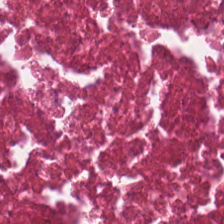Hematoxylin and eosin.
Showing cellular debris.
